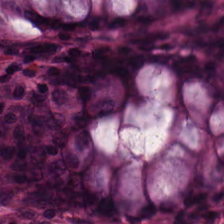Hematoxylin and eosin.
Predominantly normal colonic mucosa.
